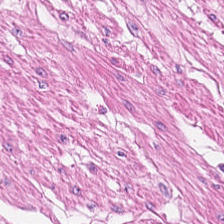Q: Identify the tissue.
A: Smooth-muscle tissue.
